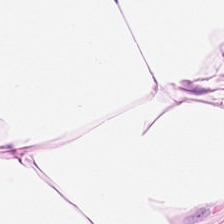Showing adipose tissue.
